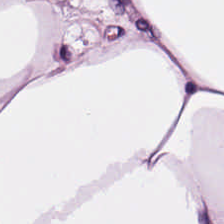Tissue = adipose tissue.
